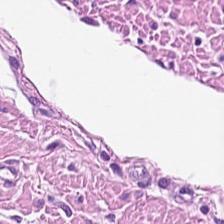H&E stain.
Predominantly smooth muscle.
